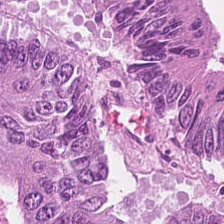Stain: H&E.
Predominant tissue: malignant epithelium.
